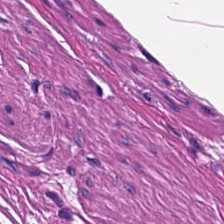0.5 µm/px; H&E.
This field is smooth-muscle tissue.
